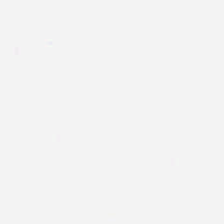H&E-stained tissue section — Empty field — empty background.
